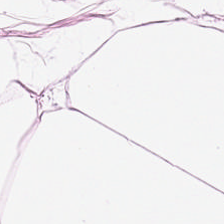Hematoxylin and eosin.
Showing adipose tissue.
